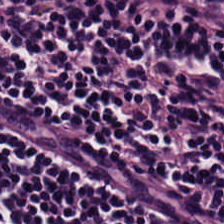Hematoxylin and eosin; formalin-fixed paraffin-embedded section.
Lymphocyte aggregate.
